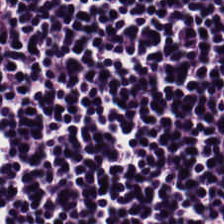Stain: H&E stain.
Resolution: 0.5 microns per pixel.
Acquisition: whole-slide-image patch.
Tissue: lymphocyte aggregate.
